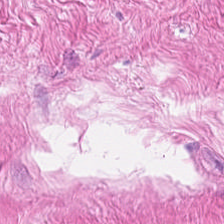Predominant tissue: muscularis.
